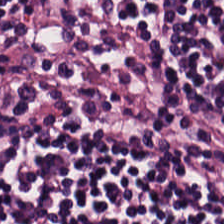Hematoxylin-and-eosin stained section · FFPE tissue section · 20× equivalent magnification — Tissue type — lymphoid infiltrate.
